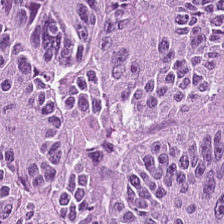Stain: hematoxylin and eosin.
Tissue type: colorectal adenocarcinoma.
